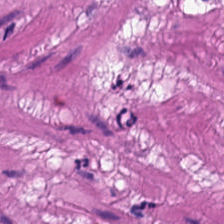H&E. 224×224 pixel tile. Whole-slide-image patch.
The tissue here is smooth muscle.
